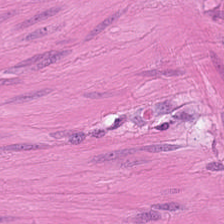H&E patch showing muscularis.
